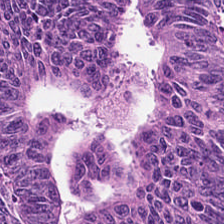FFPE. H&E-stained tissue section.
The tissue here is malignant epithelium.
